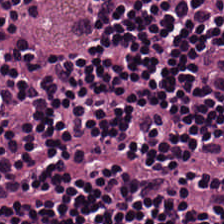Finding — lymphocytes.
